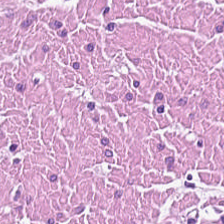Stain: hematoxylin and eosin.
Classification: muscularis.
